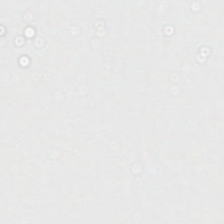No tissue present; background only.
